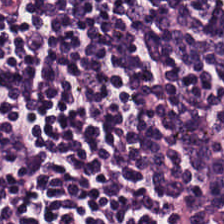H&E. Q: What type of tissue is this?
A: Lymphocytes.
